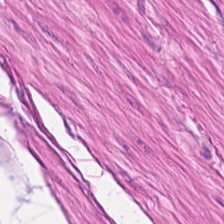H&E-stained tissue section — Tissue — muscularis.
